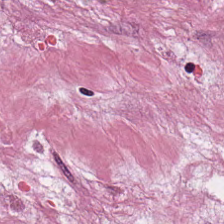Stain: hematoxylin-and-eosin stained section.
Tissue type: cancer-associated stroma.
